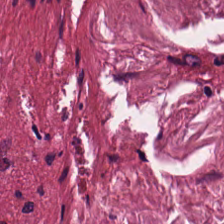The predominant tissue is tumor stroma.
